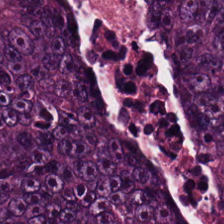H&E-stained tissue section. Q: What tissue type is shown here?
A: It is malignant epithelium.
